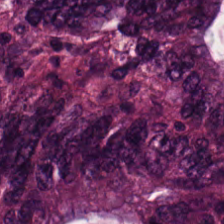224×224 px patch. Hematoxylin-and-eosin stained section. Malignant epithelium.
